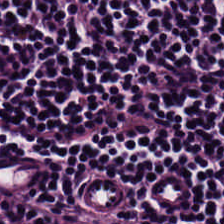H&E stain; 0.5 µm/px — Lymphoid infiltrate.
